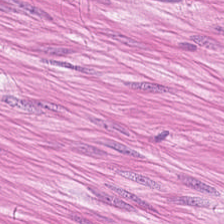H&E stain.
Showing smooth-muscle tissue.
